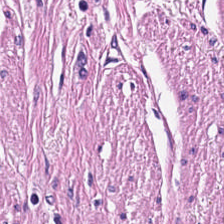Finding — muscularis.
